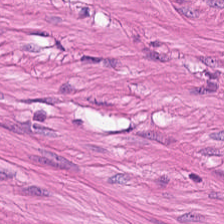Stain: H&E-stained tissue section.
Tissue class: muscularis.
